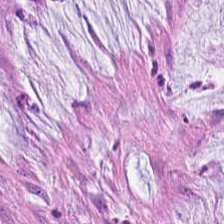FFPE. Hematoxylin and eosin.
Tissue class: mucus.
